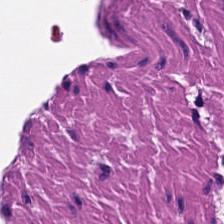Hematoxylin and eosin. FFPE. Classification — smooth-muscle tissue.
